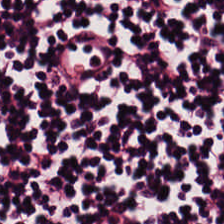H&E-stained tissue section · brightfield microscopy.
{"tissue_type": "lymphoid infiltrate"}
